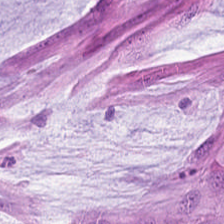Hematoxylin-and-eosin section: extracellular mucin.
